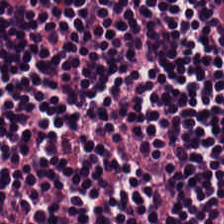H&E stain.
Q: Identify the tissue.
A: This is lymphocytic infiltrate.
